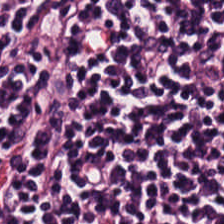This patch shows lymphocytic infiltrate.
